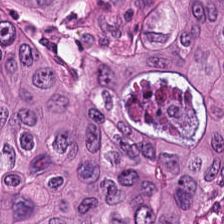Q: What is shown in this field?
A: It is tumor epithelium.
